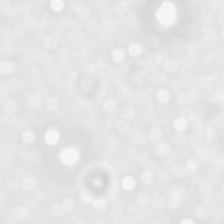H&E. Background — no tissue in this field.
